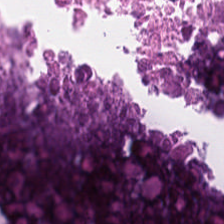H&E stain. 20× equivalent magnification.
The tissue class is necrotic debris.
